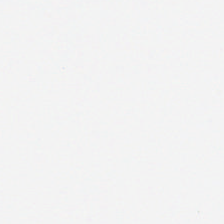Brightfield · hematoxylin-and-eosin stained section — No tissue present; background only.
